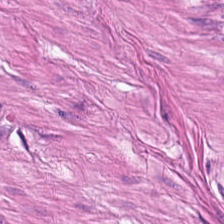0.5 µm per pixel · hematoxylin and eosin.
Showing smooth-muscle tissue.
